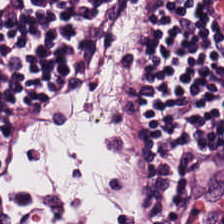Stain: H&E.
Tissue: lymphocytic infiltrate.
